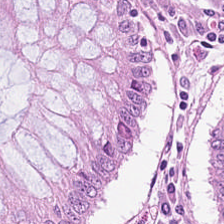Hematoxylin and eosin. Impression → normal colonic mucosa.
